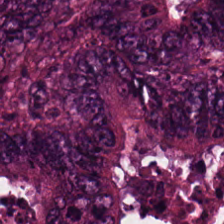H&E-stained tissue section.
Predominantly adenocarcinoma.
